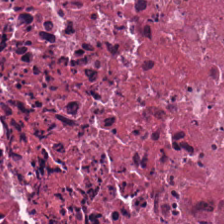Formalin-fixed paraffin-embedded section. H&E stain. Whole-slide-image patch — Q: Identify the tissue.
A: This is debris.
